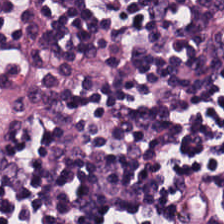Showing lymphocytic infiltrate.
